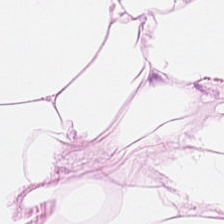Hematoxylin and eosin.
Tissue — adipose.
